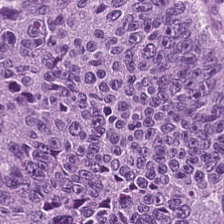Hematoxylin-and-eosin stained section.
Finding → colorectal adenocarcinoma.
